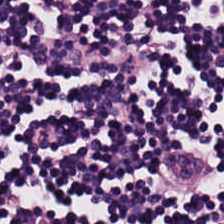Hematoxylin-and-eosin stained section; 224×224 px patch; brightfield.
The predominant tissue is lymphoid infiltrate.
